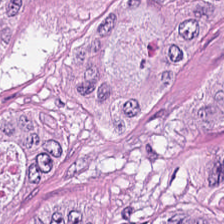H&E. Finding — colorectal adenocarcinoma epithelium.
